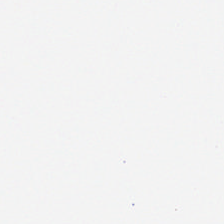Stain: H&E stain.
Preparation: FFPE tissue section.
Content: background.
